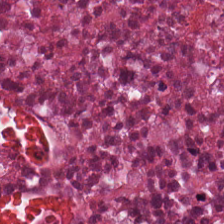Finding — debris.
